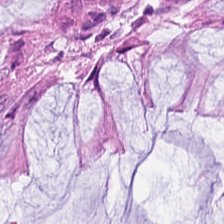Classification: normal colonic mucosa.
